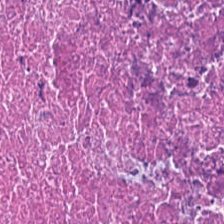H&E; formalin-fixed paraffin-embedded section; 224×224 px patch — Q: What tissue is shown?
A: The field shows necrotic debris.
